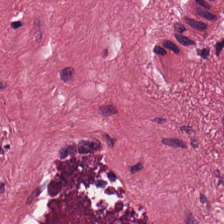Brightfield; H&E. The predominant tissue is cancer-associated stroma.
